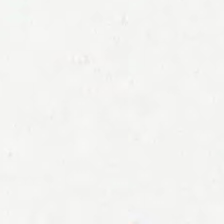Formalin-fixed paraffin-embedded section; WSI patch; H&E stain.
Field content: background (no tissue).
